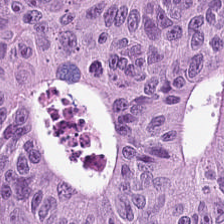224×224 pixel tile; FFPE; H&E-stained tissue section — This patch shows colorectal adenocarcinoma.
